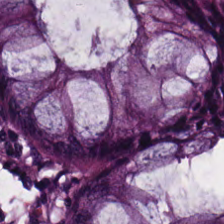Hematoxylin-and-eosin stained section. Tissue class — normal colonic mucosa.
